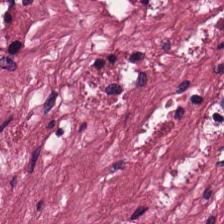Q: What type of tissue is this?
A: It is desmoplastic stroma.
